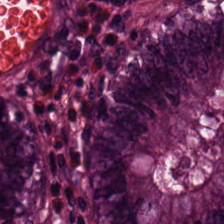H&E-stained section; the field shows normal colon mucosa.
